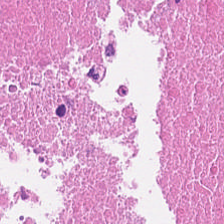Stain: H&E.
Resolution: 0.5 microns per pixel.
Classification: necrotic debris.
